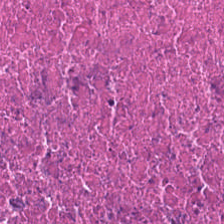Formalin-fixed paraffin-embedded section. H&E-stained tissue section. The predominant tissue is necrotic debris.
